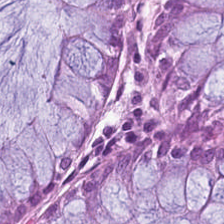H&E. Finding → benign colonic mucosa.
